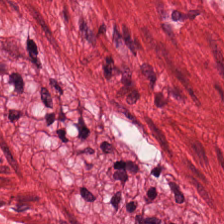H&E stain — Classification = smooth muscle.
